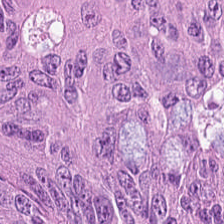H&E — Tissue class — malignant epithelium.
